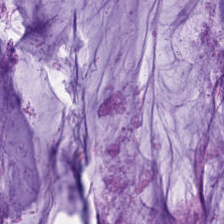Showing mucus.
